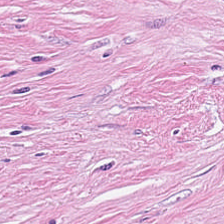H&E-stained tissue section · brightfield — The tissue type is tumor stroma.
